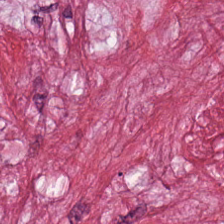H&E stain; 0.5 µm per pixel; WSI patch — Predominantly tumor stroma.
